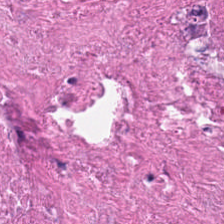Stain: hematoxylin and eosin.
Tissue type: debris.
